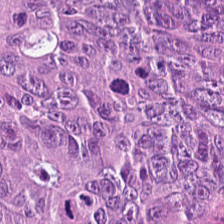224×224 px tile · H&E-stained tissue section. Finding — colorectal adenocarcinoma.
